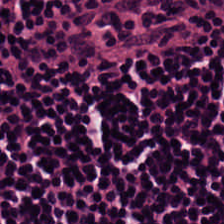Hematoxylin and eosin — Showing lymphoid infiltrate.
